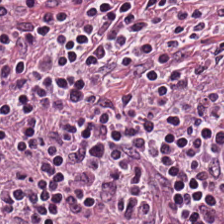Hematoxylin-and-eosin stained section; 224×224 pixel tile. Tissue: lymphocytes.
